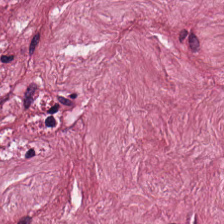The tissue is tumor stroma.
